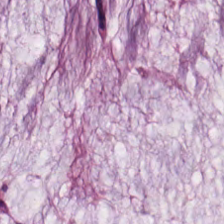224×224 pixel tile. Formalin-fixed paraffin-embedded section. H&E — Predominant tissue: extracellular mucin.
